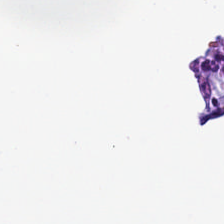H&E-stained tissue section · 0.5 microns per pixel — Empty field — no tissue.
